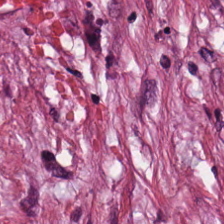Stain: H&E stain.
Acquisition: WSI patch.
Resolution: 0.5 microns per pixel.
Predominant tissue: desmoplastic stroma.
